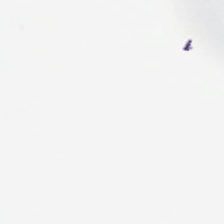H&E-stained tissue section — Field content = no tissue.
